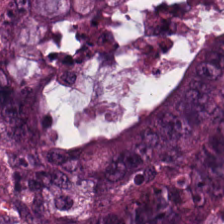H&E stain. Q: What is shown here?
A: It is colorectal adenocarcinoma.
